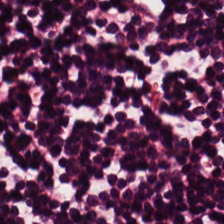0.5 µm/px. H&E stain. The tissue here is lymphocytes.
